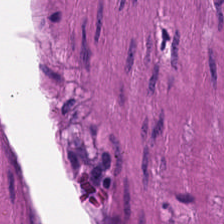Hematoxylin-and-eosin stained section.
This field is smooth-muscle tissue.
